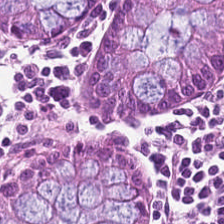H&E stain. 0.5 µm/px. 224×224 pixel tile.
This patch shows normal colonic mucosa.
